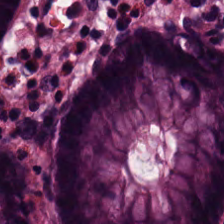Hematoxylin and eosin.
Predominantly non-neoplastic colon mucosa.
